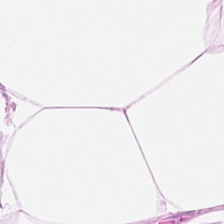224×224 px patch. H&E. Tissue type: adipose tissue.
